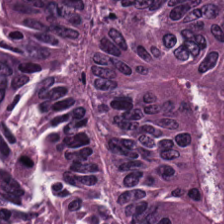H&E stain; formalin-fixed paraffin-embedded section. This patch shows colorectal adenocarcinoma epithelium.
